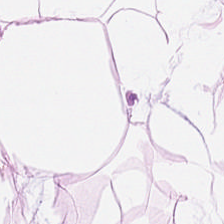Tissue type = adipocytes.
